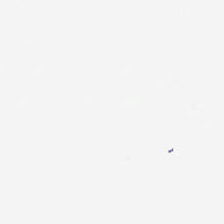Hematoxylin-and-eosin stained section · 224×224 px tile.
Classification: no tissue.
